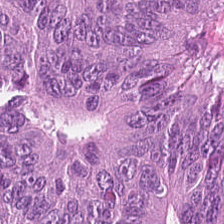Hematoxylin-and-eosin stained section. {"tissue_type": "colorectal adenocarcinoma"}
